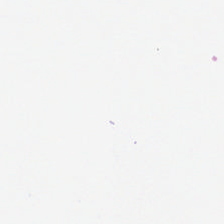{"content": "empty background"}
